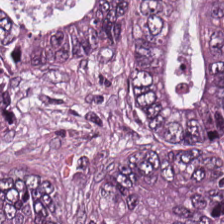Predominant tissue: colorectal adenocarcinoma.
